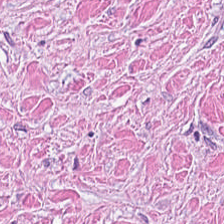The tissue here is cancer-associated stroma.
